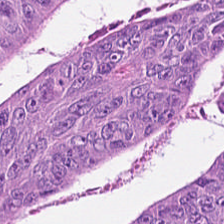Hematoxylin-and-eosin stained section · WSI patch · 224×224 pixel tile — This patch shows malignant epithelium.
